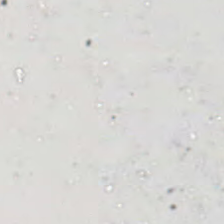H&E stain. Content — no tissue.
